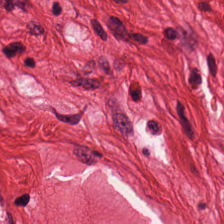The predominant tissue is smooth-muscle tissue.
